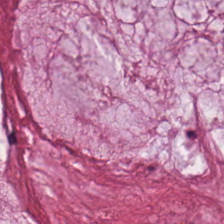Hematoxylin and eosin · 224×224 px patch · 0.5 microns per pixel.
Finding — mucin.
